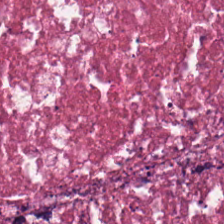Hematoxylin and eosin. This patch shows debris.
